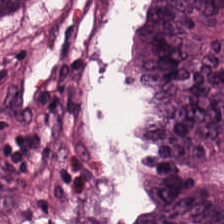Stain: H&E.
Acquisition: brightfield microscopy.
Classification: colorectal adenocarcinoma epithelium.
